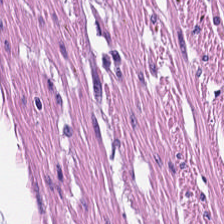Hematoxylin-and-eosin stained section. FFPE.
Tissue type — muscularis.
